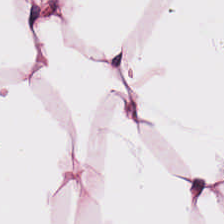H&E stain.
Q: What tissue type is shown here?
A: It is fat tissue.
